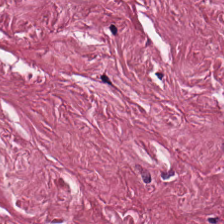Hematoxylin and eosin. The tissue class is cancer-associated stroma.
